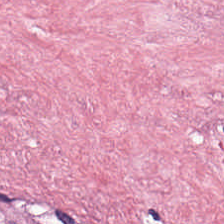H&E-stained tissue section; 224×224 pixel tile; brightfield microscopy — Predominantly desmoplastic stroma.
